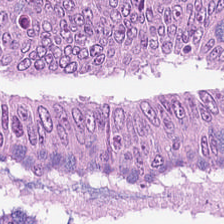This field is colorectal adenocarcinoma epithelium.
